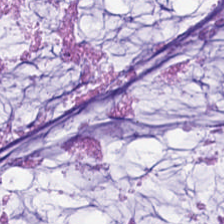H&E stain. Histology → extracellular mucin.
